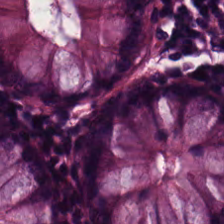{"tissue_type": "normal colon mucosa"}
